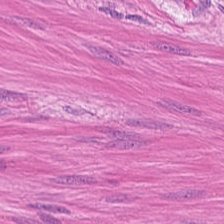224×224 px tile; hematoxylin and eosin — Q: What is shown in this field?
A: It is muscularis.
